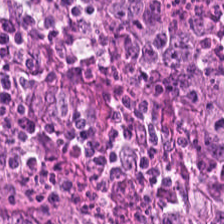Stain: H&E.
Tissue class: adenocarcinoma.
